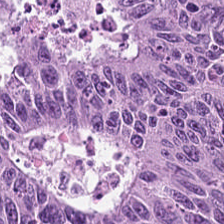Stain: hematoxylin-and-eosin stained section.
Tissue type: adenocarcinoma.
